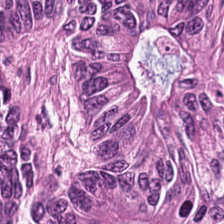Hematoxylin-and-eosin stained section; whole-slide-image patch; 0.5 µm/px.
Q: What does this patch show?
A: The field shows tumor epithelium.
